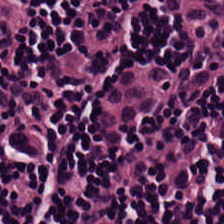Predominantly lymphocytic infiltrate.
